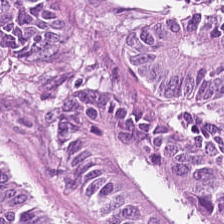Stain: hematoxylin and eosin.
Acquisition: whole-slide-image patch.
Resolution: 0.5 µm/px.
Tissue class: colorectal adenocarcinoma epithelium.
